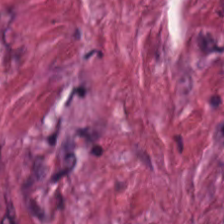H&E-stained tissue section.
Cancer-associated stroma.
